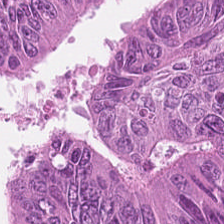20× equivalent magnification · H&E stain · whole-slide-image patch — Tissue class — colorectal adenocarcinoma epithelium.
